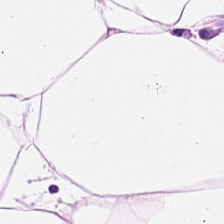FFPE; 224×224 pixel tile; H&E — Q: Classify this patch.
A: This is adipose.
